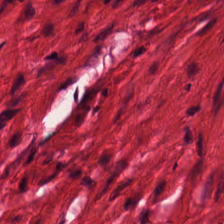Hematoxylin-and-eosin stained section — The predominant tissue is muscularis.
